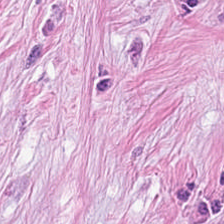Stain: H&E-stained tissue section.
Resolution: 0.5 microns per pixel.
Acquisition: brightfield.
Classification: tumor-associated stroma.
